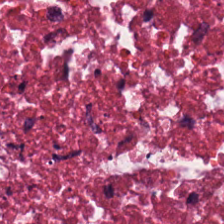H&E-stained tissue section — The tissue class is debris.
